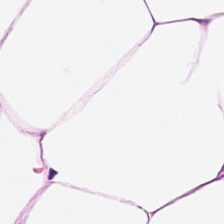Formalin-fixed paraffin-embedded section · H&E stain.
Q: Classify this patch.
A: The field shows adipose tissue.
